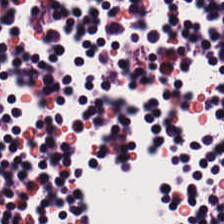0.5 µm/px · H&E. Predominant tissue: lymphocytes.
